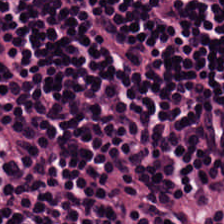Hematoxylin and eosin — Q: What does this patch show?
A: The field shows lymphocyte aggregate.
